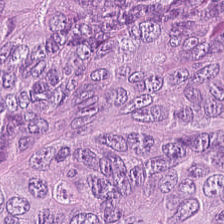Hematoxylin and eosin — Tissue class — colorectal adenocarcinoma epithelium.
